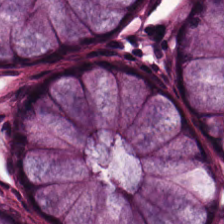Hematoxylin and eosin.
The tissue here is normal colon mucosa.
